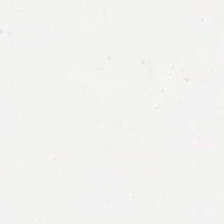20× equivalent magnification. H&E.
Q: What is shown here?
A: It is no tissue.
